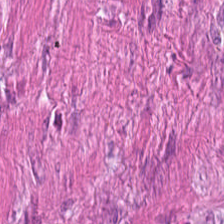H&E.
Tissue = muscularis.
